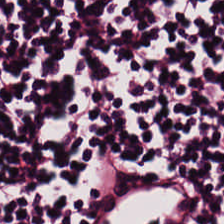224×224 px patch; hematoxylin and eosin; formalin-fixed paraffin-embedded section.
Q: What tissue type is shown here?
A: This is lymphoid infiltrate.
